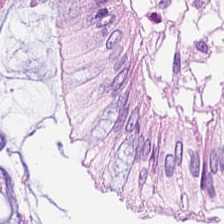Hematoxylin and eosin — Finding — normal colonic mucosa.
